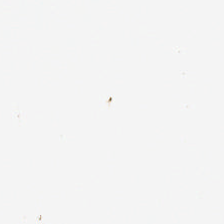224×224 px patch; formalin-fixed paraffin-embedded section; H&E-stained tissue section — Q: What does this patch show?
A: It is background.
